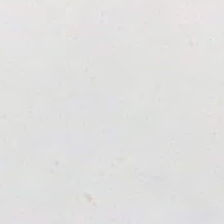Brightfield · formalin-fixed paraffin-embedded section · H&E-stained tissue section — Q: Classify this patch.
A: The field shows background (no tissue).
